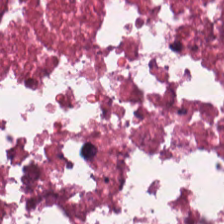H&E stain. Showing necrotic debris.
